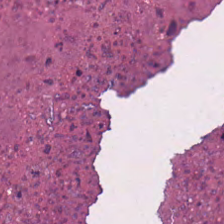20× equivalent magnification. Hematoxylin-and-eosin stained section. Cellular debris.
